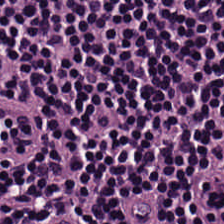Tissue class — lymphocytes.
